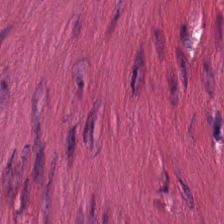H&E-stained tissue section. Classification: smooth muscle.
